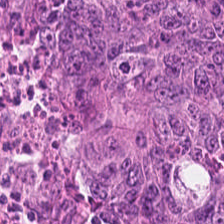FFPE; H&E.
Histology → colorectal adenocarcinoma epithelium.
